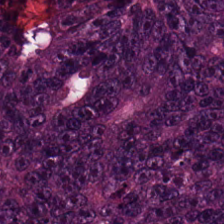Stain: H&E.
Tile size: 224×224 px tile.
Resolution: 0.5 µm/px.
Predominant tissue: malignant epithelium.
